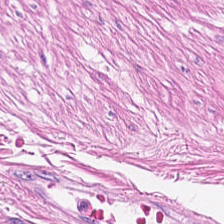Stain: hematoxylin-and-eosin stained section.
Tissue class: smooth muscle.
